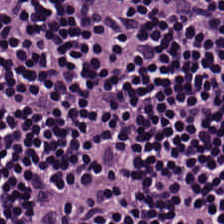H&E — Impression — lymphocytic infiltrate.
